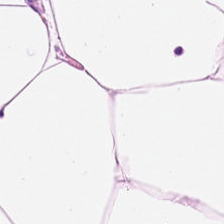H&E-stained tissue section — Q: What type of tissue is this?
A: It is adipocytes.
